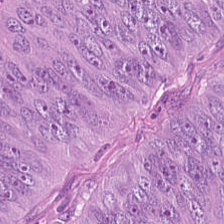Hematoxylin and eosin. The tissue here is adenocarcinoma.
